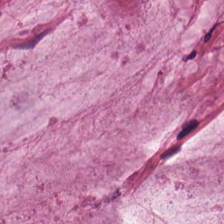H&E stain. 20× equivalent magnification.
This patch shows mucus.
